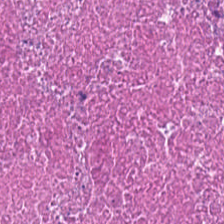H&E stain. Formalin-fixed paraffin-embedded section.
Showing debris.
